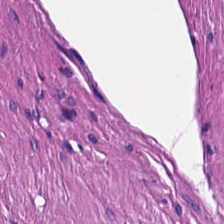0.5 µm per pixel · H&E-stained tissue section. Q: What is shown in this field?
A: The field shows smooth muscle.
